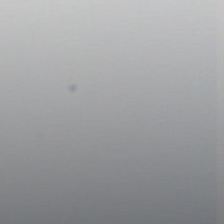Q: What is shown here?
A: This is background (no tissue).
